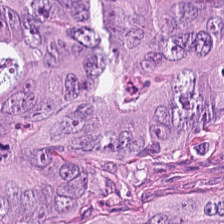Hematoxylin and eosin · whole-slide-image patch. The tissue here is malignant epithelium.
